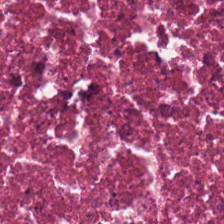This field is necrotic debris.
